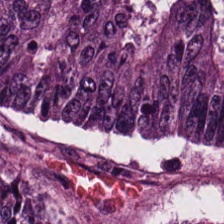Hematoxylin-and-eosin stained section. This field is malignant epithelium.
